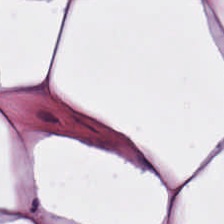H&E-stained tissue section showing adipocytes.
